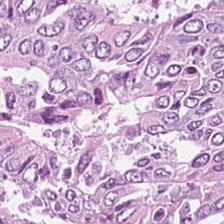H&E-stained tissue section.
The tissue here is colorectal adenocarcinoma epithelium.
